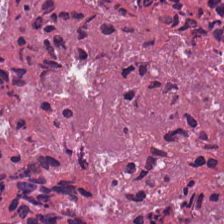H&E.
Impression — necrotic debris.
